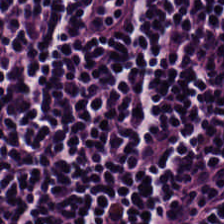Stain: hematoxylin-and-eosin stained section.
Tissue class: lymphocytic infiltrate.
